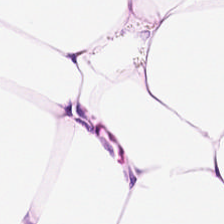20× equivalent magnification; hematoxylin-and-eosin stained section. {"tissue_type": "adipose tissue"}
